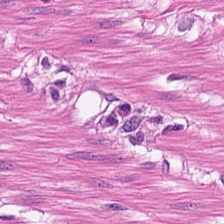Hematoxylin-and-eosin stained section.
This patch shows muscularis.
